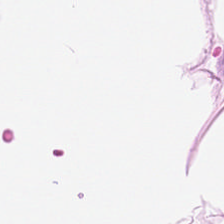Hematoxylin-and-eosin stained section · FFPE tissue section · whole-slide-image patch. Q: What is shown in this field?
A: It is fat tissue.
